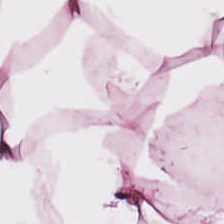Hematoxylin and eosin; FFPE.
Q: What is the predominant tissue type?
A: Adipose tissue.
